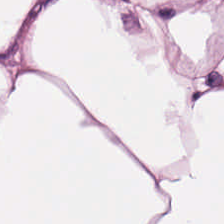H&E patch showing adipose tissue.
